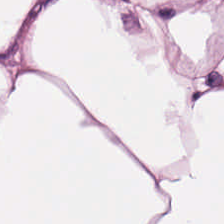H&E patch showing adipose tissue.
